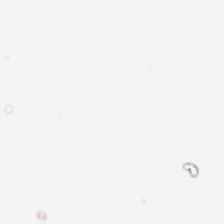Field content — background.
